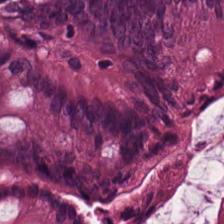H&E — Showing non-neoplastic colon mucosa.
